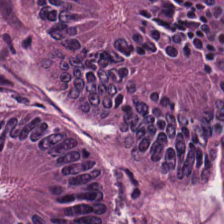Hematoxylin and eosin · 224×224 pixel tile · FFPE tissue section.
Q: What tissue is shown?
A: Malignant epithelium.
